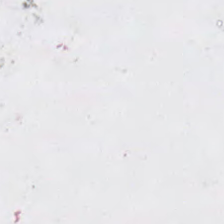Hematoxylin and eosin.
No tissue present; background only.
